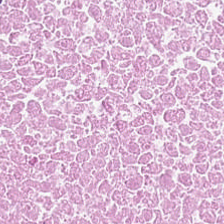Whole-slide-image patch. Hematoxylin-and-eosin stained section.
Finding → cellular debris.
